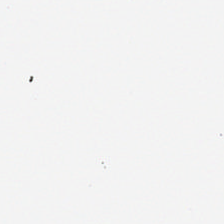Hematoxylin-and-eosin stained section · 224×224 px patch · FFPE tissue section — {"content": "no tissue"}
